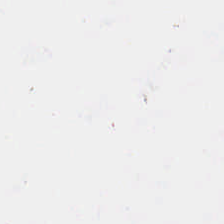0.5 µm/px · H&E stain.
This patch shows no tissue.
